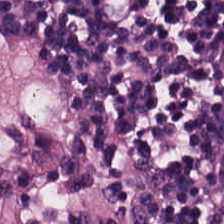Lymphocytes.
